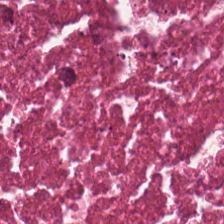H&E stain · 20× equivalent magnification · WSI patch. Q: What is shown here?
A: Cellular debris.
